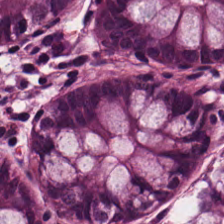Stain: hematoxylin-and-eosin stained section.
Classification: non-neoplastic colon mucosa.
